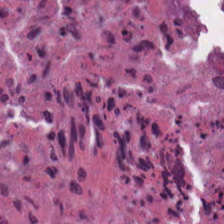Hematoxylin-and-eosin stained section · whole-slide-image patch.
Necrotic debris.
